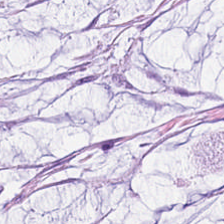Hematoxylin and eosin. Whole-slide-image patch — This field is extracellular mucin.
